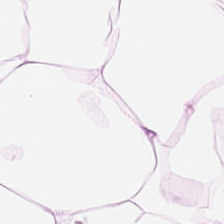Hematoxylin-and-eosin stained section.
Tissue type — adipose.
